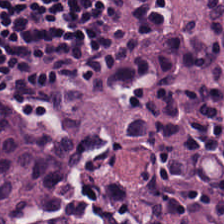H&E; 224×224 pixel tile; 0.5 µm/px — Showing lymphoid infiltrate.
